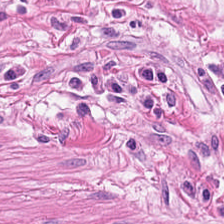H&E stain.
The predominant tissue is muscularis.
